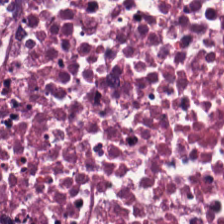Hematoxylin and eosin.
Predominant tissue: necrotic debris.
